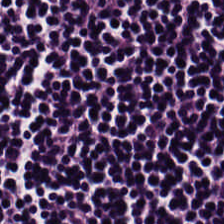H&E-stained tissue section. The tissue class is lymphocyte aggregate.
